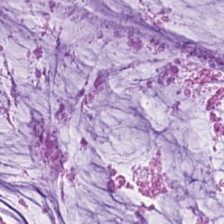Mucus.
